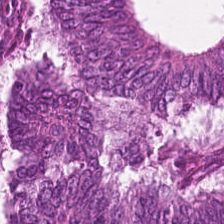0.5 microns per pixel · H&E.
Finding — adenocarcinoma.
